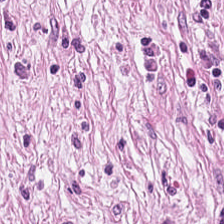224×224 px patch; 0.5 µm/px; H&E stain — Showing tumor stroma.
